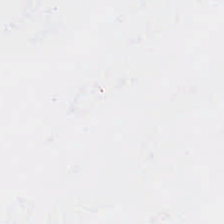Histology — no tissue.
